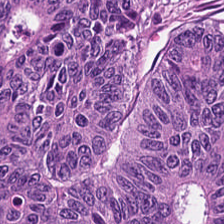The predominant tissue is adenocarcinoma.
